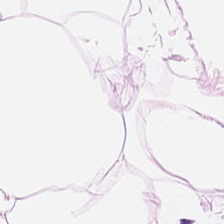Hematoxylin and eosin; brightfield — Predominant tissue: adipocytes.
